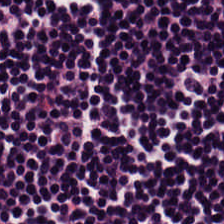Hematoxylin and eosin.
Showing lymphocytic infiltrate.
